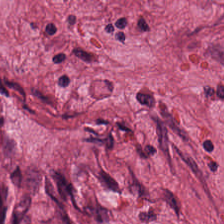H&E-stained tissue section — Tissue: desmoplastic stroma.
